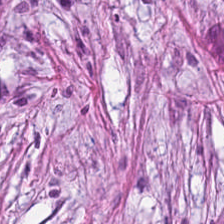Hematoxylin and eosin.
Predominantly cancer-associated stroma.
